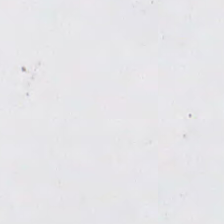H&E-stained tissue section. Q: What is shown in this field?
A: It is no tissue.
